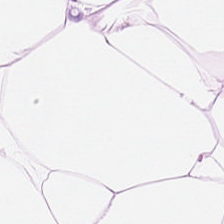H&E.
Impression — fat tissue.
